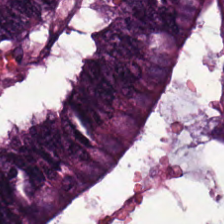224×224 px patch · H&E-stained tissue section. Predominantly colorectal adenocarcinoma.
